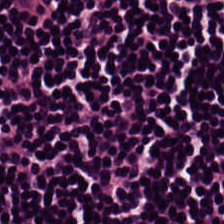H&E-stained tissue section — Q: What tissue type is shown here?
A: This is lymphoid infiltrate.
